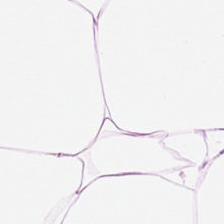H&E. Showing adipocytes.
